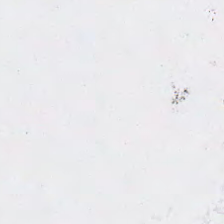Histology — empty background.
